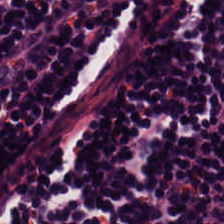Hematoxylin and eosin.
Q: What type of tissue is this?
A: It is lymphocytic infiltrate.
